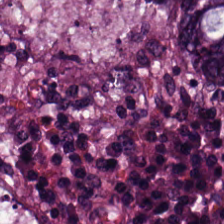FFPE tissue section · H&E stain. Showing colorectal adenocarcinoma epithelium.
